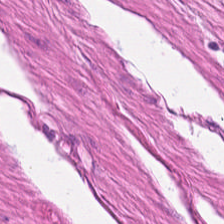Hematoxylin and eosin. 0.5 microns per pixel. The tissue here is muscularis.
